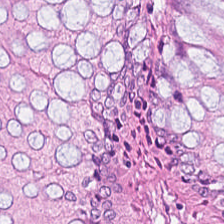Stain: H&E.
Resolution: 20× equivalent magnification.
Tile size: 224×224 px tile.
Tissue class: normal colon mucosa.
